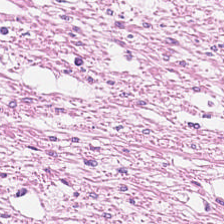Stain: H&E stain.
Tissue class: smooth muscle.
